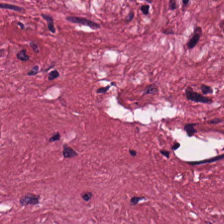FFPE. H&E-stained tissue section. 224×224 px tile. This field is cancer-associated stroma.
